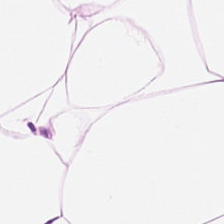H&E-stained tissue section. Q: Classify this patch.
A: This is adipose tissue.
